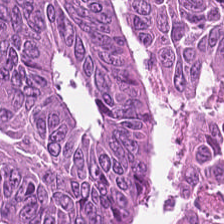H&E.
This field is malignant epithelium.
